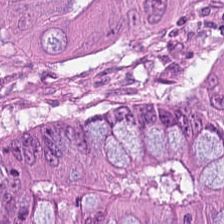WSI patch; 224×224 px patch; H&E-stained tissue section. {"tissue_type": "colorectal adenocarcinoma"}
